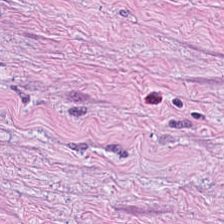H&E patch showing tumor stroma.
